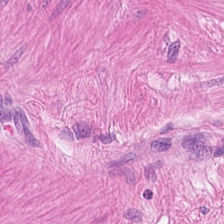Predominantly smooth-muscle tissue.
